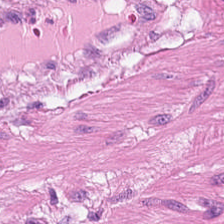H&E; 0.5 µm per pixel; brightfield microscopy. This patch shows muscularis.
